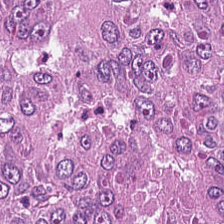Hematoxylin-and-eosin stained section · 0.5 µm/px · WSI patch — Q: What is the predominant tissue type?
A: This is malignant epithelium.
